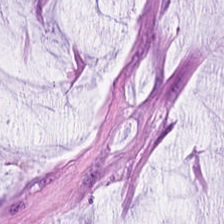Tissue type = extracellular mucin.
